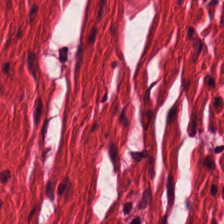Hematoxylin-and-eosin stained section.
The tissue class is smooth-muscle tissue.
